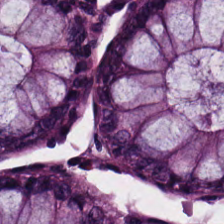Brightfield; H&E — Showing normal colon mucosa.
